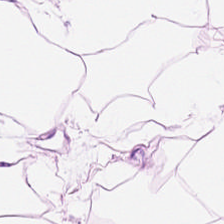Hematoxylin and eosin. 224×224 pixel tile — This patch shows adipocytes.
